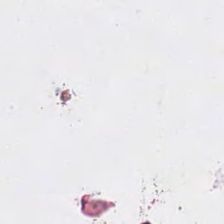Brightfield microscopy; H&E-stained tissue section.
This patch shows background (no tissue).
